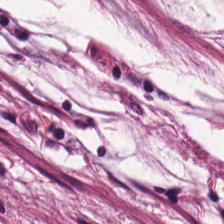Hematoxylin and eosin. Formalin-fixed paraffin-embedded section. 224×224 px patch. Tissue class: mucin.
